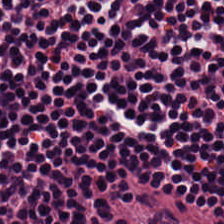Predominantly lymphocytic infiltrate.
